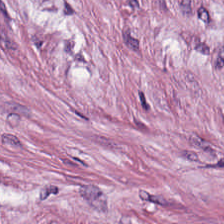H&E stain — The tissue type is tumor stroma.
